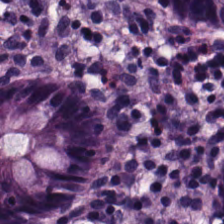Showing normal colon mucosa.
